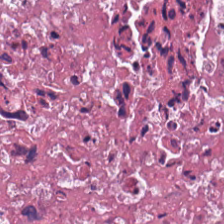This field is necrotic debris.
